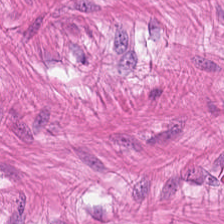Hematoxylin-and-eosin stained section. Impression — smooth-muscle tissue.
